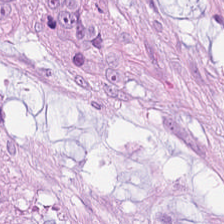224×224 pixel tile. H&E. Impression → colorectal adenocarcinoma.
